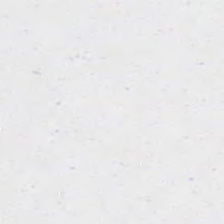Empty field — no tissue.
